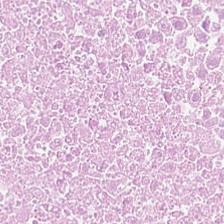H&E-stained tissue section. Q: What is shown here?
A: This is debris.
